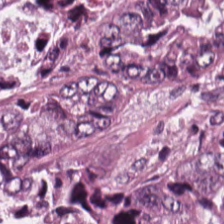The tissue class is tumor epithelium.
